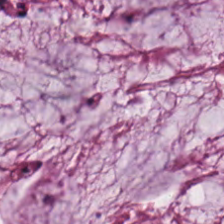H&E stain. Whole-slide-image patch — Impression → extracellular mucin.
